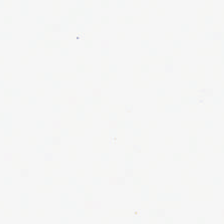Stain: H&E.
Content: empty background.
